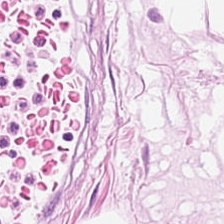H&E stain — The predominant tissue is adipose.
